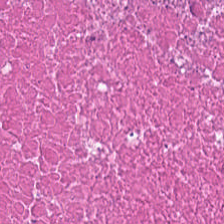H&E stain — Impression — debris.
